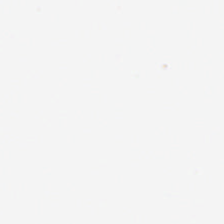Formalin-fixed paraffin-embedded section · 224×224 pixel tile · hematoxylin and eosin — Background — no tissue in this field.
